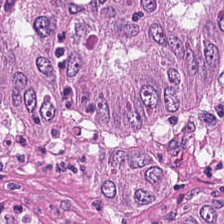Hematoxylin-and-eosin stained section. 0.5 microns per pixel — Colorectal adenocarcinoma.
